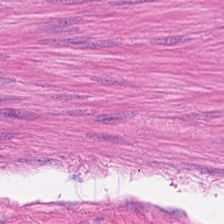0.5 µm per pixel · H&E — Muscularis.
